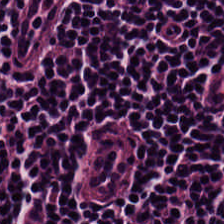H&E-stained tissue section — Predominant tissue = lymphocytic infiltrate.
